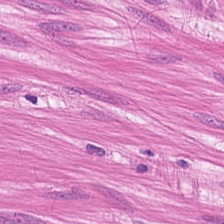Stain: H&E-stained tissue section.
Predominant tissue: smooth muscle.
